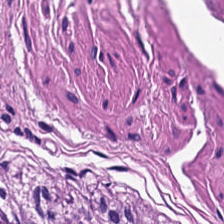Hematoxylin-and-eosin stained section. Histology → smooth-muscle tissue.
